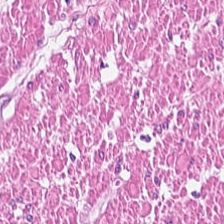H&E — muscularis.
